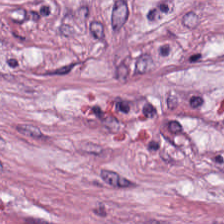Hematoxylin and eosin — This patch shows desmoplastic stroma.
